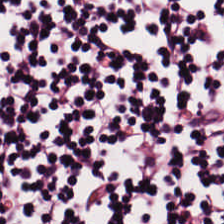H&E stain; FFPE — {"tissue_type": "lymphocyte aggregate"}
